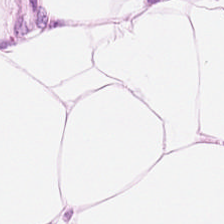The tissue is adipose tissue.
